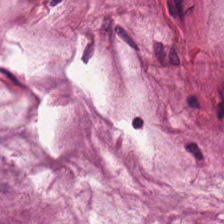Stain: H&E-stained tissue section.
Tissue: mucus.
